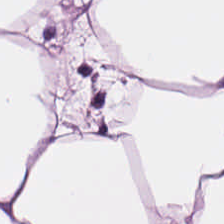Impression — adipocytes.
